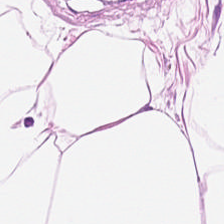H&E-stained section; the field shows adipose tissue.
